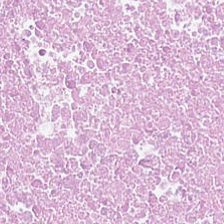H&E · WSI patch. Tissue = cellular debris.
